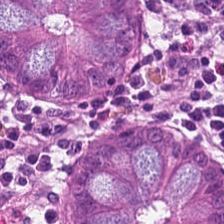Hematoxylin-and-eosin stained section.
Tissue — benign colonic mucosa.
